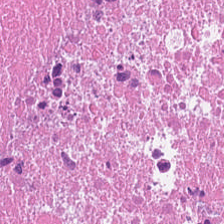Hematoxylin-and-eosin stained section. Impression — necrotic debris.
